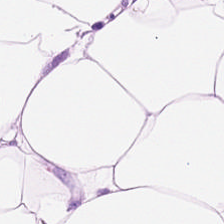H&E-stained section; the field shows fat tissue.
